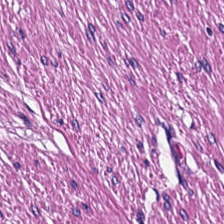H&E stain.
{"tissue_type": "smooth muscle"}
